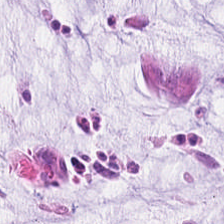H&E. Tissue type — mucin.
